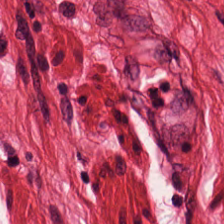224×224 px patch. Hematoxylin and eosin — The classification is smooth muscle.
